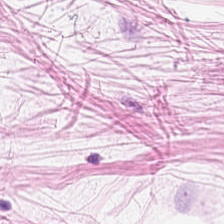Hematoxylin and eosin — {"tissue_type": "adipose"}
